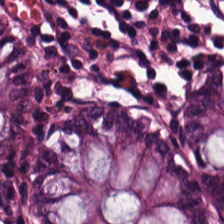Whole-slide-image patch; 224×224 px patch; H&E — {"tissue_type": "normal colon mucosa"}
